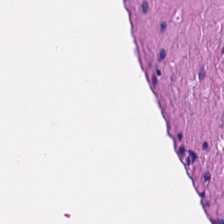Stain: H&E-stained tissue section.
Tissue: smooth-muscle tissue.
